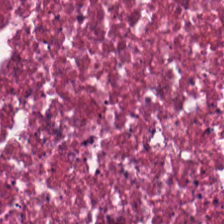H&E · 20× equivalent magnification. The tissue here is cellular debris.
